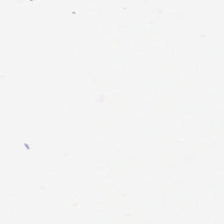0.5 microns per pixel; H&E.
Empty field — background.
